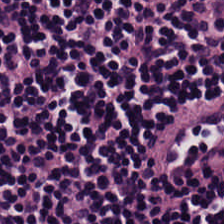Stain: H&E.
Predominant tissue: lymphocytic infiltrate.
